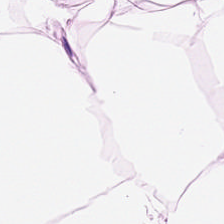Showing adipocytes.
